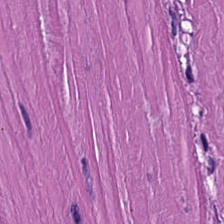Predominant tissue: smooth-muscle tissue.
